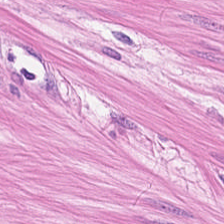Q: What tissue type is shown here?
A: The field shows smooth muscle.
